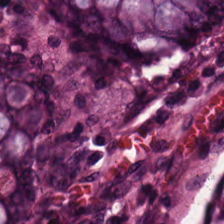Stain: H&E stain.
Tissue: benign colonic mucosa.
